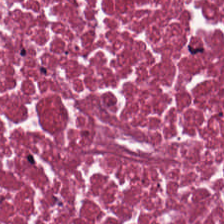Predominant tissue: debris.
